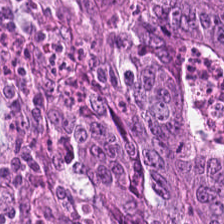H&E stain. Showing malignant epithelium.
